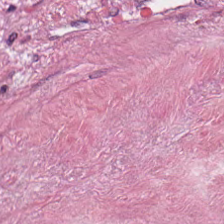H&E-stained tissue section. 0.5 µm/px — Q: What is the predominant tissue type?
A: Tumor stroma.
